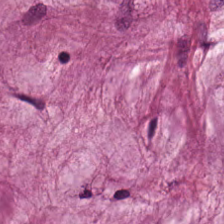H&E stain. {"tissue_type": "extracellular mucin"}
